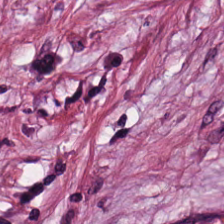224×224 pixel tile. Formalin-fixed paraffin-embedded section. H&E — Showing tumor-associated stroma.
